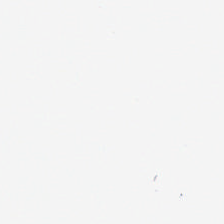H&E stain · 224×224 pixel tile — Q: What is shown in this field?
A: It is no tissue.
